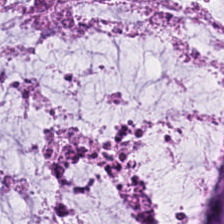FFPE; H&E-stained tissue section.
Tissue class = extracellular mucin.
